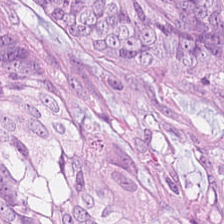Hematoxylin-and-eosin stained section — The predominant tissue is colorectal adenocarcinoma epithelium.
